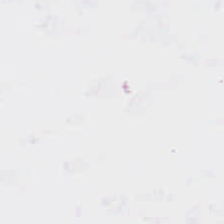H&E-stained tissue section. Classification: background.
